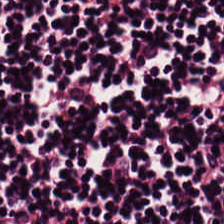0.5 µm per pixel · hematoxylin and eosin. Predominantly lymphocytic infiltrate.
